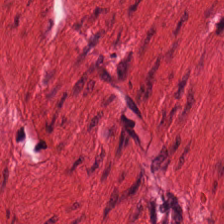The tissue class is smooth-muscle tissue.
